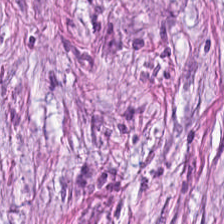FFPE · H&E stain · 224×224 px tile. Showing cancer-associated stroma.
